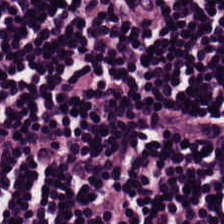Stain: hematoxylin and eosin.
Predominant tissue: lymphoid infiltrate.
